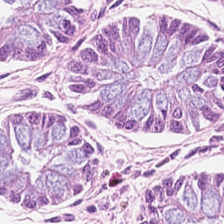FFPE · 224×224 px tile · H&E — Tissue type: normal colon mucosa.
